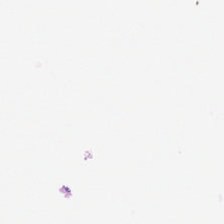Finding → no tissue.
